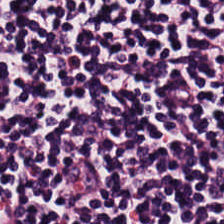H&E stain; 0.5 µm per pixel — Q: Classify this patch.
A: Lymphocytes.
